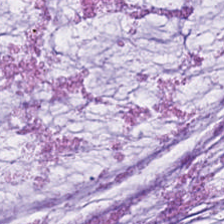Hematoxylin and eosin — Finding — mucus.
